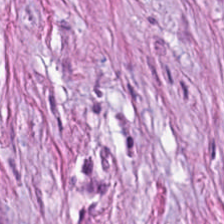Hematoxylin-and-eosin stained section — The tissue here is cancer-associated stroma.
